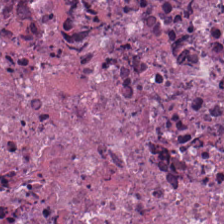Stain: H&E.
Classification: necrotic debris.
